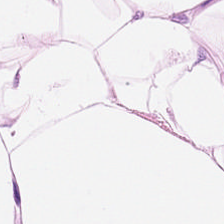Hematoxylin-and-eosin stained section. WSI patch. 224×224 px tile. Predominantly adipose tissue.
